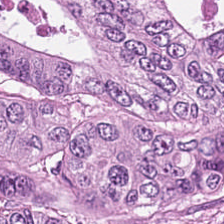H&E; 0.5 µm/px. Q: What tissue is shown?
A: The field shows adenocarcinoma.
